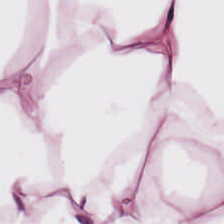Formalin-fixed paraffin-embedded section; hematoxylin-and-eosin stained section — This patch shows adipose.
